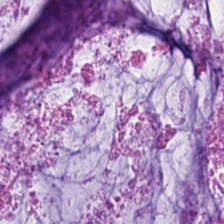0.5 microns per pixel; hematoxylin and eosin.
{"tissue_type": "mucin"}
